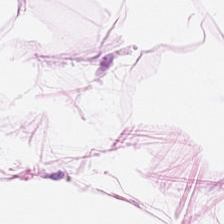Hematoxylin-and-eosin stained section — {"tissue_type": "fat tissue"}
